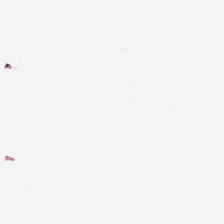224×224 px patch; H&E-stained tissue section.
Q: What is shown here?
A: This is empty background.
